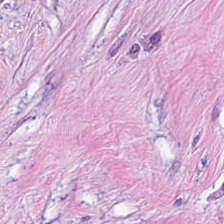Hematoxylin-and-eosin stained section.
Tissue class = tumor stroma.
